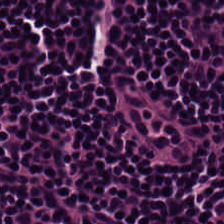Stain: H&E stain.
Predominant tissue: lymphocytes.
